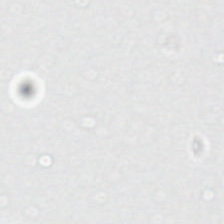Stain: hematoxylin and eosin.
Preparation: FFPE tissue section.
Classification: background.
